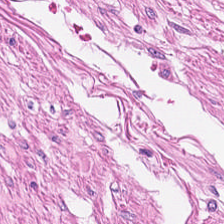Formalin-fixed paraffin-embedded section; H&E-stained tissue section. Showing smooth-muscle tissue.
